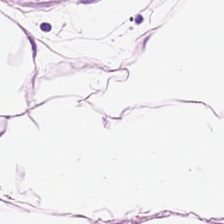Hematoxylin-and-eosin stained section. Histology → fat tissue.
